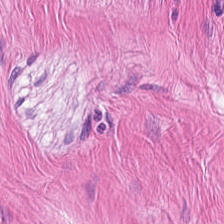H&E stain — The classification is smooth muscle.
